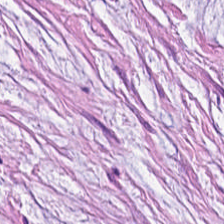0.5 µm/px; H&E stain — Predominantly extracellular mucin.
